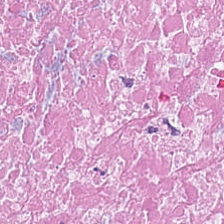Tissue class: debris.
